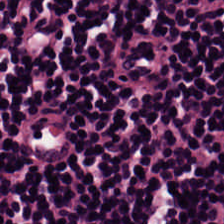FFPE tissue section; 0.5 µm per pixel; H&E — Tissue: lymphocytic infiltrate.
